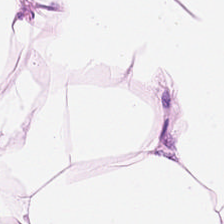Hematoxylin-and-eosin stained section. Tissue — adipose.
